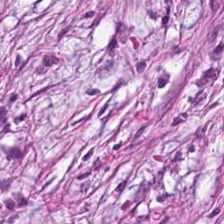0.5 microns per pixel · hematoxylin-and-eosin stained section · brightfield microscopy. Histology — desmoplastic stroma.
